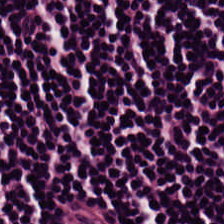Hematoxylin and eosin — Impression — lymphocyte aggregate.
